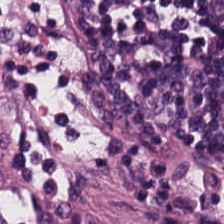Classification — lymphocytes.
